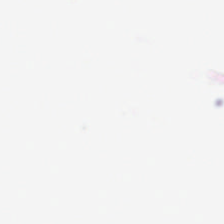224×224 px patch · FFPE tissue section · hematoxylin and eosin — Q: What is shown in this field?
A: The field shows background.
